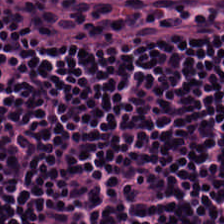0.5 µm/px · brightfield microscopy · hematoxylin-and-eosin stained section. Q: What tissue is shown?
A: Lymphocytes.
